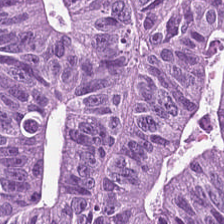Stain: H&E.
Classification: adenocarcinoma.
